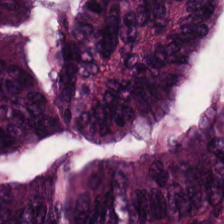H&E-stained tissue section — Predominant tissue — colorectal adenocarcinoma.
